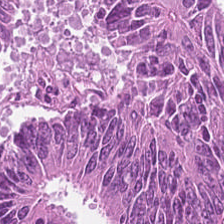H&E stain; whole-slide-image patch.
The tissue type is colorectal adenocarcinoma epithelium.
